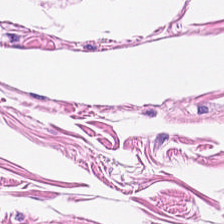Q: What tissue is shown?
A: This is smooth muscle.
